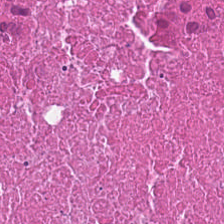Q: Classify this patch.
A: The field shows necrotic debris.
